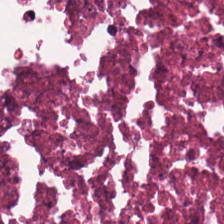Histology → debris.
